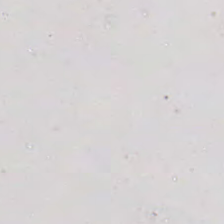Hematoxylin and eosin. Field content — background.
